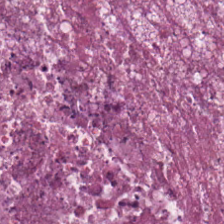Q: Identify the tissue.
A: It is debris.
